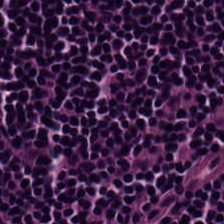Hematoxylin and eosin — Q: What type of tissue is this?
A: The field shows lymphocytes.
